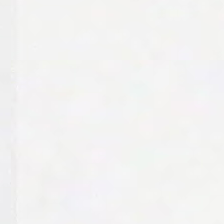224×224 px patch; hematoxylin-and-eosin stained section.
Finding — background (no tissue).
